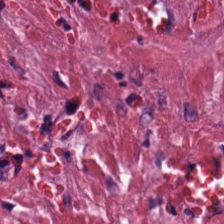H&E — Histology → desmoplastic stroma.
